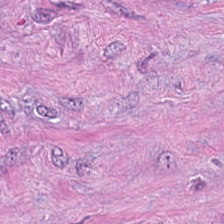Q: What type of tissue is this?
A: It is cancer-associated stroma.
